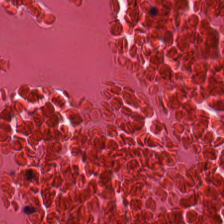Tissue — necrotic debris.
